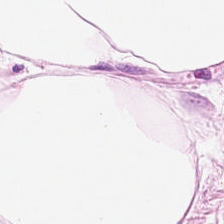Brightfield microscopy; 20× equivalent magnification; hematoxylin and eosin. Tissue — adipose.
